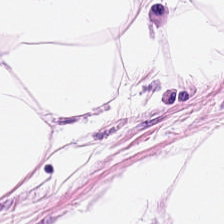Hematoxylin and eosin; whole-slide-image patch.
Q: Identify the tissue.
A: The field shows adipocytes.
